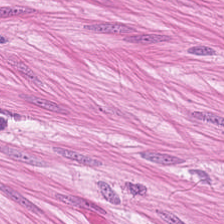This patch shows smooth muscle.
